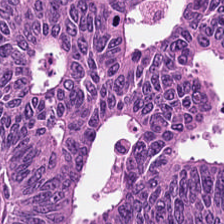H&E-stained tissue section.
Q: What is the predominant tissue type?
A: The field shows adenocarcinoma.
